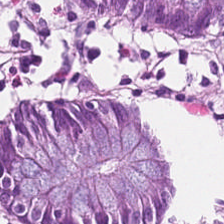Hematoxylin-and-eosin stained section · FFPE — Showing normal colonic mucosa.
